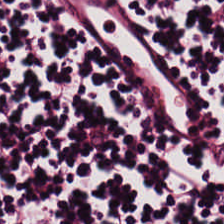H&E-stained tissue section. 0.5 µm/px.
This field is lymphocytic infiltrate.
